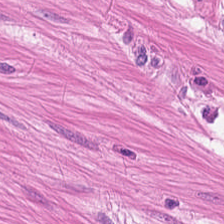H&E-stained tissue section; 0.5 µm per pixel; formalin-fixed paraffin-embedded section. Showing smooth-muscle tissue.
